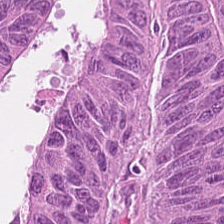224×224 px tile. H&E stain — Tissue: adenocarcinoma.
